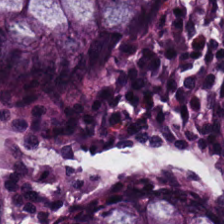FFPE tissue section; H&E.
Histology — normal colon mucosa.
